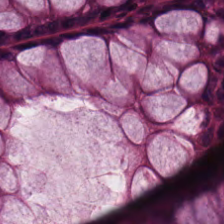Hematoxylin and eosin. 224×224 px tile. Q: What is shown in this field?
A: It is normal colon mucosa.
